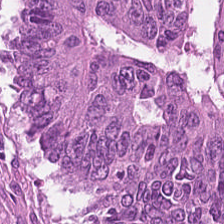WSI patch. H&E-stained tissue section.
Impression → colorectal adenocarcinoma.
